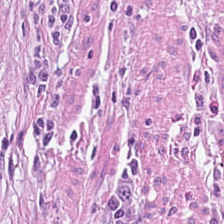Hematoxylin and eosin.
Showing tumor stroma.
